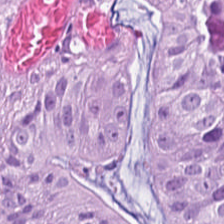Stain: H&E-stained tissue section.
Tissue: malignant epithelium.
